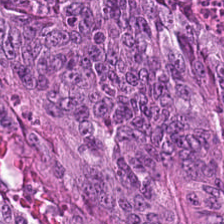H&E-stained tissue section showing malignant epithelium.
